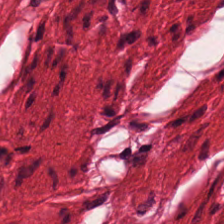H&E. Predominantly smooth muscle.
